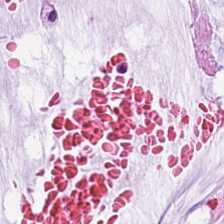Formalin-fixed paraffin-embedded section; H&E; 224×224 px patch.
Showing mucus.
